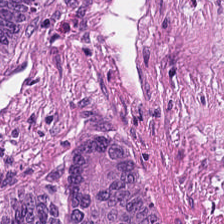H&E stain — This patch shows adenocarcinoma.
